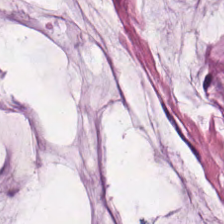Classification = mucus.
